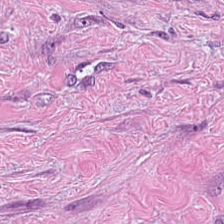H&E stain; 224×224 px tile; 0.5 µm per pixel. The tissue type is desmoplastic stroma.
